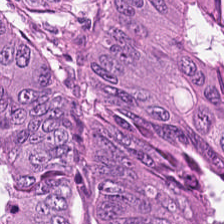Stain: H&E-stained tissue section.
Classification: colorectal adenocarcinoma epithelium.
